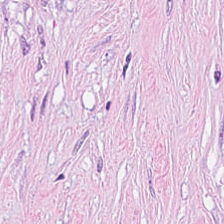Hematoxylin-and-eosin stained section; whole-slide-image patch. {"tissue_type": "desmoplastic stroma"}
